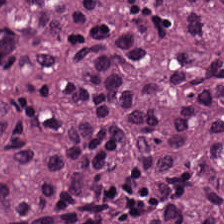Hematoxylin-and-eosin stained section. Q: What type of tissue is this?
A: Malignant epithelium.
